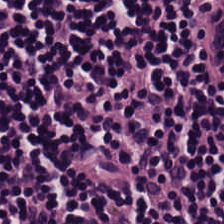Lymphocytic infiltrate.
